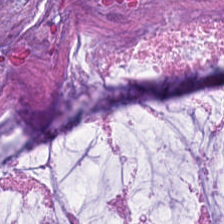H&E patch showing extracellular mucin.
